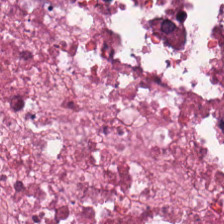Stain: hematoxylin and eosin.
Tissue: debris.
